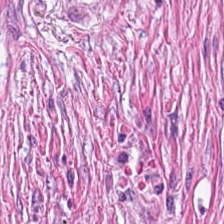H&E-stained tissue section.
Predominantly cancer-associated stroma.
